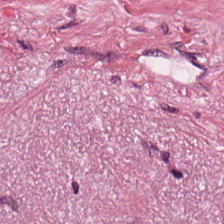Hematoxylin and eosin. Q: Classify this patch.
A: It is tumor-associated stroma.
